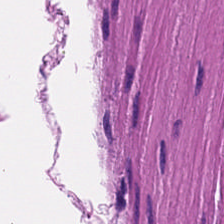H&E — This field is smooth-muscle tissue.
